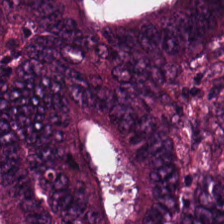H&E-stained tissue section · 0.5 µm per pixel · formalin-fixed paraffin-embedded section. Classification = adenocarcinoma.
